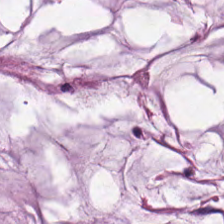Stain: hematoxylin-and-eosin stained section.
Tile size: 224×224 px patch.
Resolution: 0.5 microns per pixel.
Tissue type: mucus.
